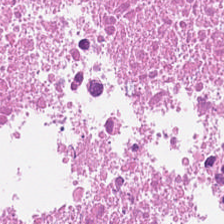224×224 px tile; H&E stain — The predominant tissue is debris.
